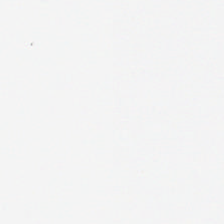Hematoxylin and eosin — Empty field — background (no tissue).
